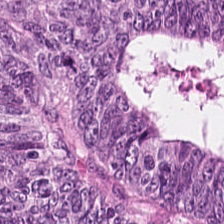H&E stain.
This patch shows adenocarcinoma.
